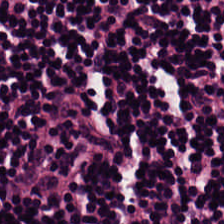Stain: hematoxylin-and-eosin stained section.
Tissue class: lymphocytes.
